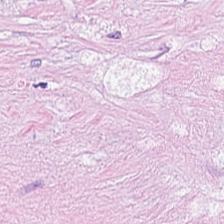Q: What tissue is shown?
A: Tumor-associated stroma.
